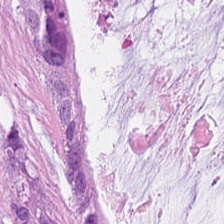Hematoxylin-and-eosin stained section. The tissue here is extracellular mucin.
